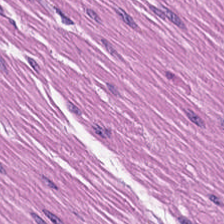H&E. {"tissue_type": "smooth-muscle tissue"}
